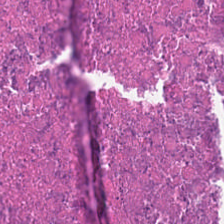H&E-stained section; the field shows debris.
